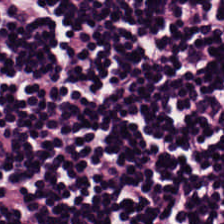Predominant tissue: lymphoid infiltrate.
